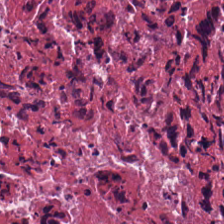Stain: H&E.
Acquisition: brightfield.
Tissue class: debris.
